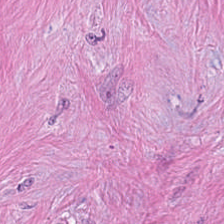Showing cancer-associated stroma.
